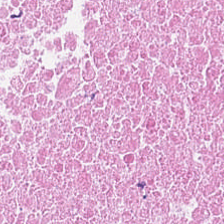Formalin-fixed paraffin-embedded section; H&E — The predominant tissue is cellular debris.
